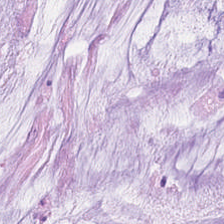Whole-slide-image patch · H&E — Predominantly mucin.
